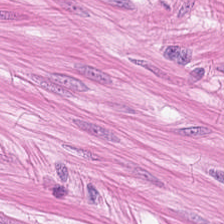224×224 pixel tile · FFPE tissue section · hematoxylin and eosin. Tissue = smooth-muscle tissue.
